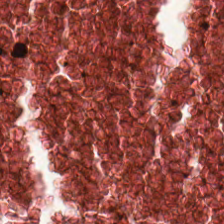{"tissue_type": "cellular debris"}
